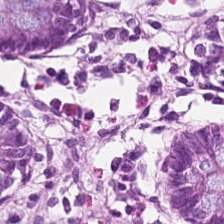Hematoxylin and eosin; FFPE tissue section. Tissue class: normal colonic mucosa.
